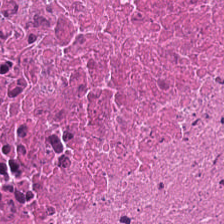Formalin-fixed paraffin-embedded section. H&E. 224×224 px patch.
The predominant tissue is debris.
